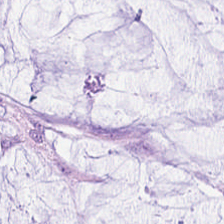Stain: H&E-stained tissue section.
Acquisition: whole-slide-image patch.
Tile size: 224×224 pixel tile.
Classification: mucus.
